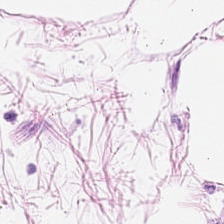Hematoxylin-and-eosin stained section.
Fat tissue.
